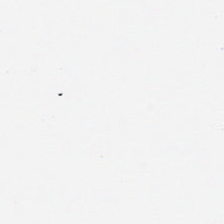Stain: H&E stain.
Content: no tissue.
